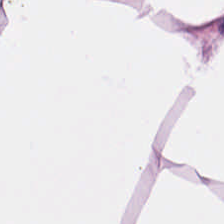H&E-stained tissue section.
Classification — adipocytes.
